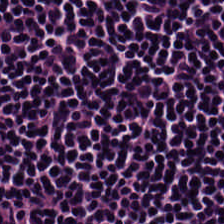Stain: hematoxylin and eosin.
Tissue type: lymphocytes.
